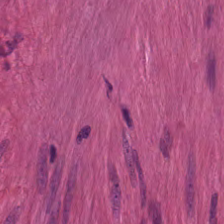H&E-stained tissue section.
The predominant tissue is smooth muscle.
